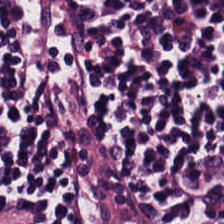H&E-stained tissue section — Tissue class — lymphocyte aggregate.
